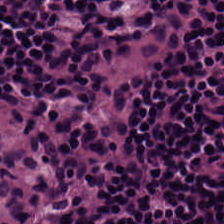224×224 pixel tile · hematoxylin and eosin — This field is lymphoid infiltrate.
